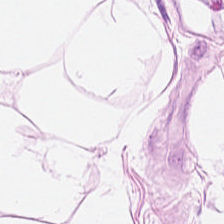H&E. 224×224 pixel tile.
Q: What does this patch show?
A: The field shows adipocytes.
